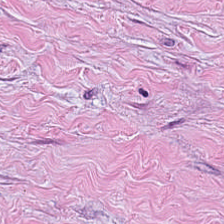H&E stain · FFPE.
The predominant tissue is cancer-associated stroma.
